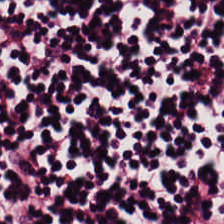Tissue class — lymphocytic infiltrate.
